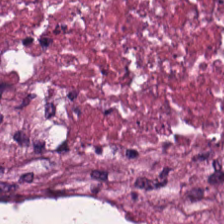224×224 px patch · H&E-stained tissue section — The tissue type is debris.
